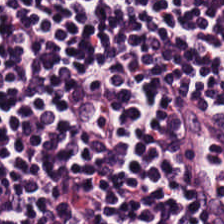Tissue: lymphoid infiltrate.
